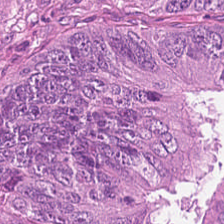FFPE tissue section · H&E · 0.5 microns per pixel. Finding → adenocarcinoma.
